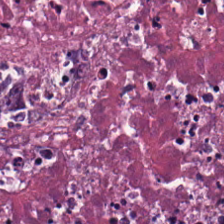H&E-stained tissue section. Necrotic debris.
